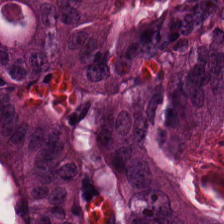Hematoxylin-and-eosin stained section.
Tissue type — colorectal adenocarcinoma epithelium.
